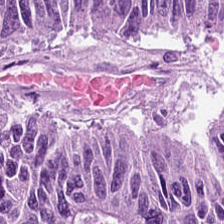Whole-slide-image patch; H&E-stained tissue section; 0.5 microns per pixel — The predominant tissue is colorectal adenocarcinoma.
